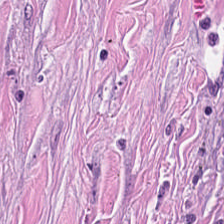Hematoxylin and eosin. 224×224 px patch. Whole-slide-image patch.
Tissue class — tumor-associated stroma.
